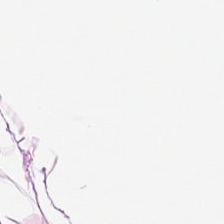Impression → adipose.
